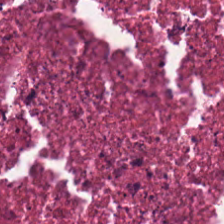20× equivalent magnification; H&E stain. Cellular debris.
